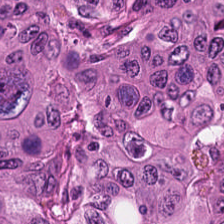Hematoxylin and eosin. Adenocarcinoma.
